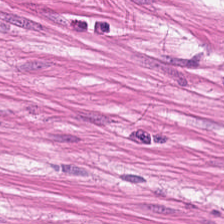H&E-stained tissue section.
Q: What does this patch show?
A: It is muscularis.
